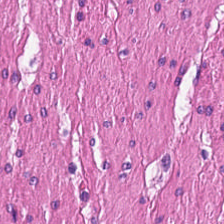H&E. The tissue here is muscularis.
